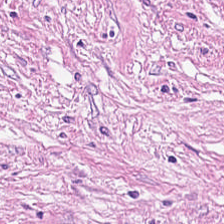Hematoxylin and eosin. The tissue here is tumor-associated stroma.
